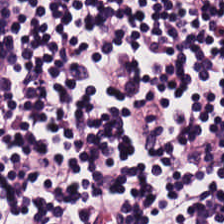H&E · WSI patch · 20× equivalent magnification. This field is lymphocytic infiltrate.
